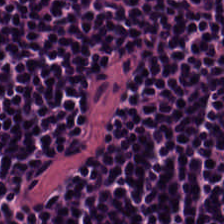0.5 µm/px. Hematoxylin and eosin — The classification is lymphoid infiltrate.
